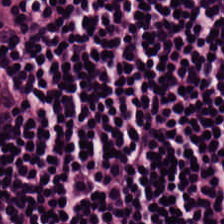Hematoxylin and eosin — Classification = lymphoid infiltrate.
